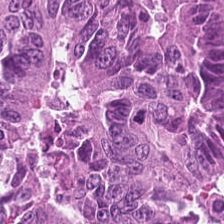Tissue class: adenocarcinoma.
